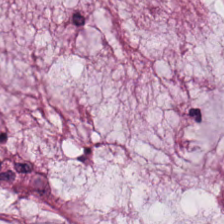Brightfield microscopy. H&E stain. Finding — mucus.
